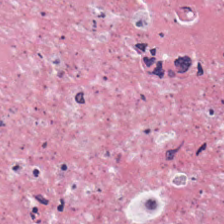Tissue class = necrotic debris.
